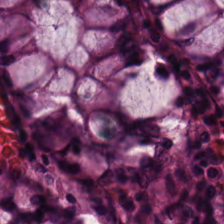0.5 µm/px; hematoxylin-and-eosin stained section.
Showing normal colon mucosa.
